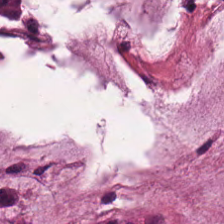H&E-stained tissue section — The tissue class is mucus.
